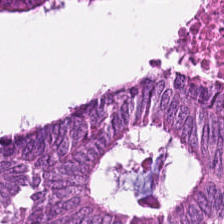Hematoxylin-and-eosin stained section · brightfield microscopy. Q: What does this patch show?
A: This is adenocarcinoma.
